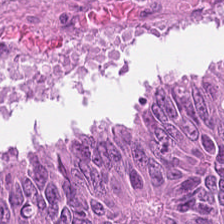Hematoxylin and eosin.
Predominant tissue — colorectal adenocarcinoma.
